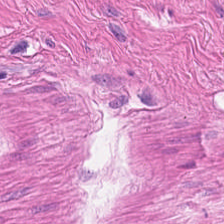Stain: hematoxylin-and-eosin stained section.
Preparation: formalin-fixed paraffin-embedded section.
Tile size: 224×224 pixel tile.
Predominant tissue: smooth-muscle tissue.
